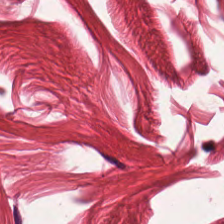Brightfield. Formalin-fixed paraffin-embedded section. Hematoxylin and eosin. This field is muscularis.
